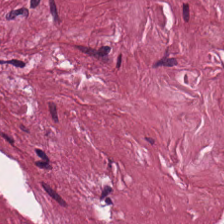H&E stain. Predominantly tumor stroma.
